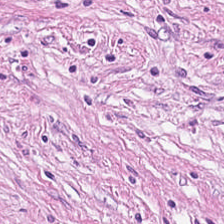Hematoxylin-and-eosin stained section. 224×224 pixel tile. FFPE — The tissue here is tumor-associated stroma.
